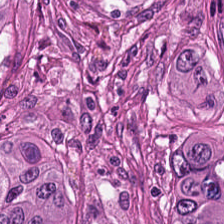Whole-slide-image patch · H&E-stained tissue section. Q: What tissue is shown?
A: Tumor epithelium.
